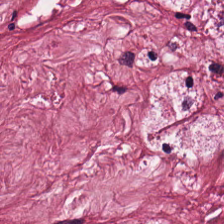H&E-stained tissue section — Histology — cancer-associated stroma.
